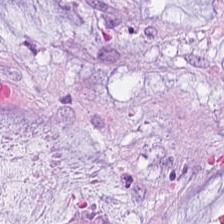Predominant tissue — extracellular mucin.
